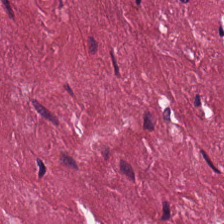Tissue class: tumor-associated stroma.
